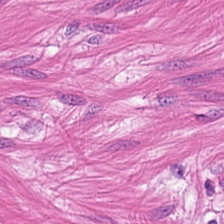H&E-stained tissue section.
Impression → muscularis.
